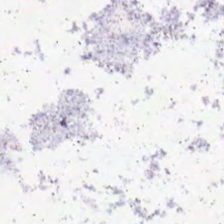224×224 px tile. WSI patch. H&E-stained tissue section. Field content: background (no tissue).
